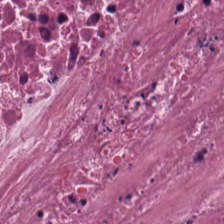H&E.
Showing cellular debris.
